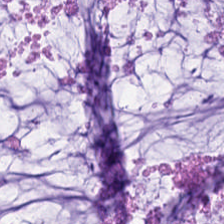Hematoxylin-and-eosin stained section — The tissue here is mucus.
